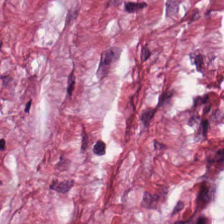Hematoxylin and eosin. Showing tumor stroma.
